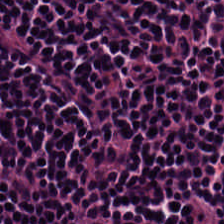Predominant tissue — lymphoid infiltrate.
